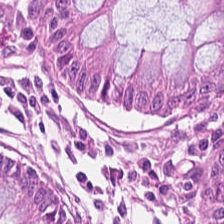Whole-slide-image patch. Hematoxylin-and-eosin stained section — Q: Identify the tissue.
A: It is non-neoplastic colon mucosa.
